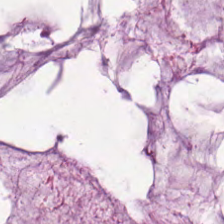H&E-stained tissue section — This field is mucus.
